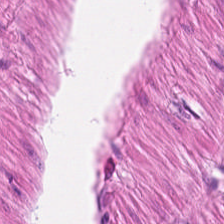{"tissue_type": "smooth muscle"}
